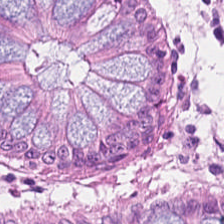Stain: hematoxylin and eosin.
Tissue type: normal colonic mucosa.
